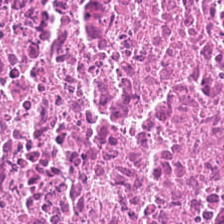Tissue type = debris.
